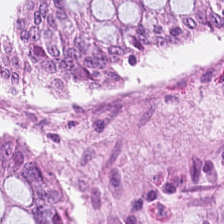0.5 µm/px · hematoxylin and eosin.
Predominant tissue — non-neoplastic colon mucosa.
